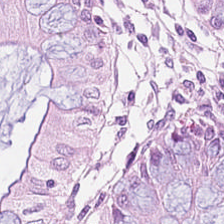This field is benign colonic mucosa.
